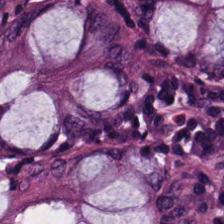224×224 px patch. H&E-stained tissue section. FFPE.
This patch shows non-neoplastic colon mucosa.
